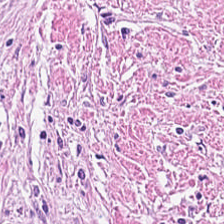Hematoxylin-and-eosin stained section.
Impression → tumor stroma.
